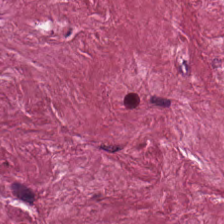Stain: hematoxylin and eosin.
Tile size: 224×224 pixel tile.
Preparation: formalin-fixed paraffin-embedded section.
Tissue: tumor stroma.
